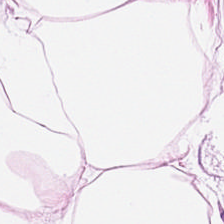Formalin-fixed paraffin-embedded section · hematoxylin-and-eosin stained section · 224×224 px tile — Predominantly adipose.
